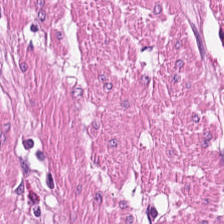H&E patch showing smooth-muscle tissue.
